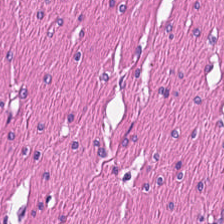H&E-stained tissue section.
Predominant tissue = smooth muscle.
